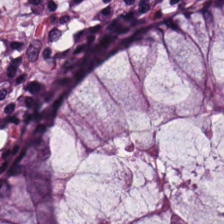H&E stain — The tissue type is benign colonic mucosa.
